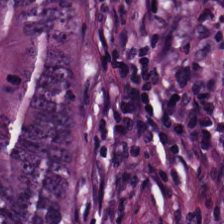Predominant tissue — adenocarcinoma.
